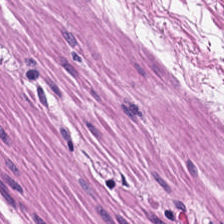H&E-stained tissue section — Tissue class — smooth-muscle tissue.
